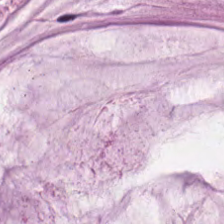Brightfield. Formalin-fixed paraffin-embedded section. H&E — Q: What tissue type is shown here?
A: Mucin.
